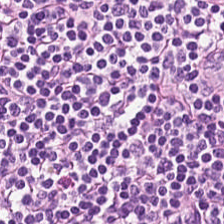Hematoxylin-and-eosin stained section. Histology — lymphocytic infiltrate.
